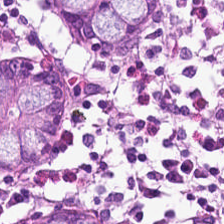FFPE tissue section; hematoxylin and eosin. Normal colon mucosa.
